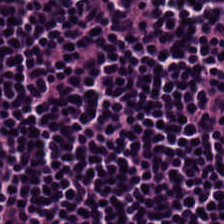224×224 px patch. H&E stain. 0.5 µm per pixel — Finding → lymphoid infiltrate.
